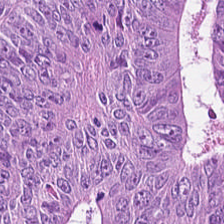H&E. Impression — colorectal adenocarcinoma epithelium.
